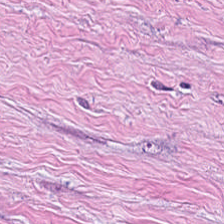The predominant tissue is tumor-associated stroma.
